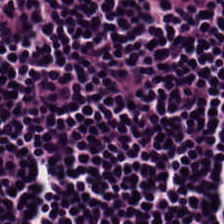This patch shows lymphocyte aggregate.
